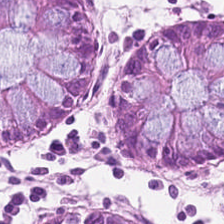H&E · 0.5 µm/px.
Q: What is shown in this field?
A: It is benign colonic mucosa.
